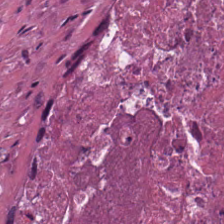224×224 pixel tile. H&E stain. This field is necrotic debris.
